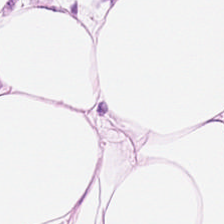FFPE tissue section; H&E — Tissue — fat tissue.
